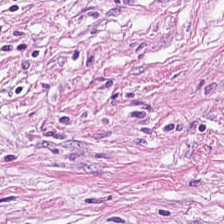Hematoxylin-and-eosin section: tumor-associated stroma.
